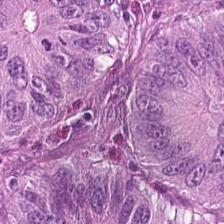Impression → malignant epithelium.
